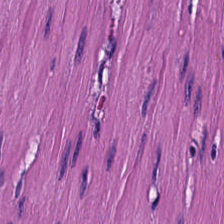0.5 µm/px. Hematoxylin-and-eosin stained section.
The predominant tissue is smooth-muscle tissue.
